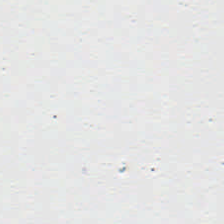Hematoxylin-and-eosin stained section. 0.5 µm per pixel. Q: What is shown here?
A: It is no tissue.
